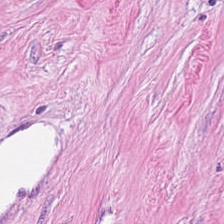Impression — tumor-associated stroma.
